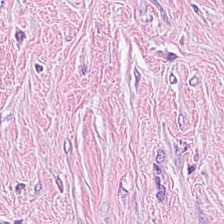WSI patch · H&E stain.
The classification is cancer-associated stroma.
